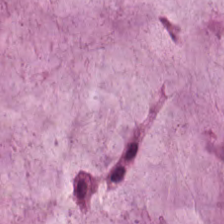Brightfield. H&E.
Impression — mucus.
